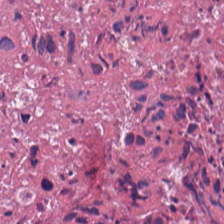This patch shows necrotic debris.
